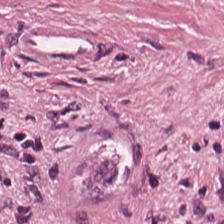Hematoxylin-and-eosin stained section.
Histology → desmoplastic stroma.
